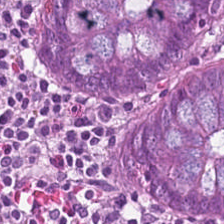Tissue type: normal colon mucosa.
